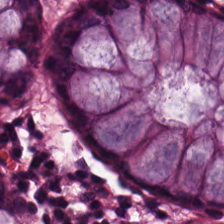H&E · FFPE.
Non-neoplastic colon mucosa.
